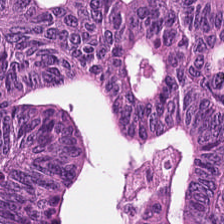Hematoxylin-and-eosin stained section. Classification — adenocarcinoma.
